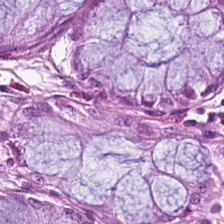0.5 microns per pixel. H&E stain — Histology — normal colon mucosa.
